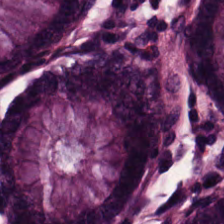This patch shows non-neoplastic colon mucosa.
